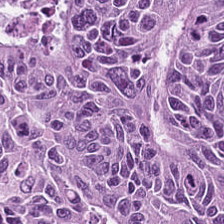Hematoxylin-and-eosin stained section — Tissue class: adenocarcinoma.
